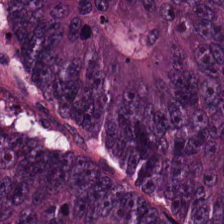H&E stain. 224×224 pixel tile.
Q: What type of tissue is this?
A: The field shows colorectal adenocarcinoma epithelium.
